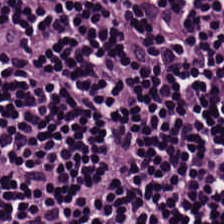H&E patch showing lymphocytes.
